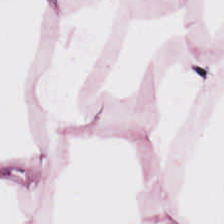Hematoxylin-and-eosin stained section; 224×224 px tile.
The predominant tissue is adipocytes.
